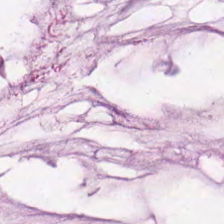Hematoxylin-and-eosin stained section. Q: Identify the tissue.
A: It is extracellular mucin.
